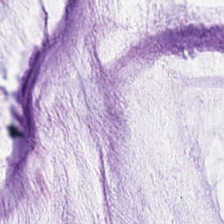Formalin-fixed paraffin-embedded section. Hematoxylin-and-eosin stained section.
This field is extracellular mucin.
